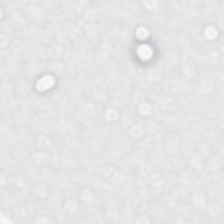Hematoxylin-and-eosin stained section — Classification: background (no tissue).
